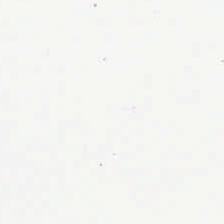H&E stain. Q: What does this patch show?
A: No tissue.
